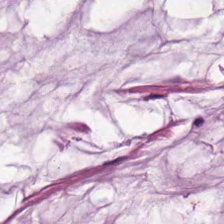H&E-stained tissue section — Tissue class: mucin.
